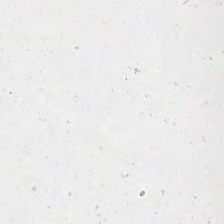Hematoxylin and eosin · 224×224 px tile · brightfield — Content: empty background.
